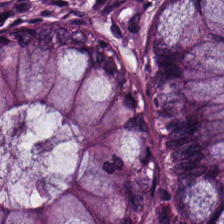Stain: hematoxylin and eosin.
Tissue: normal colon mucosa.
